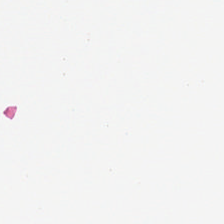H&E-stained tissue section.
{"content": "empty background"}
